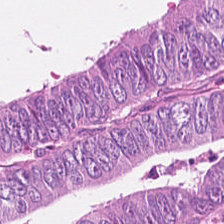Finding — malignant epithelium.
